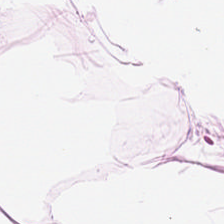Histology — adipose.
